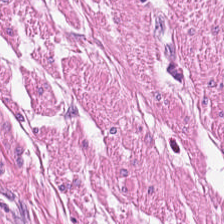H&E-stained tissue section — Finding — muscularis.
